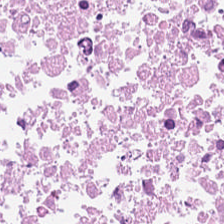Stain: hematoxylin and eosin.
Acquisition: brightfield microscopy.
Classification: debris.
